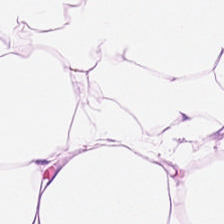224×224 px patch; hematoxylin and eosin; 0.5 microns per pixel — This field is adipose.
